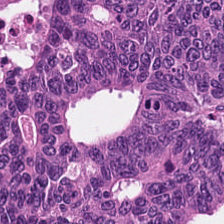Stain: H&E.
Tile size: 224×224 pixel tile.
Tissue: malignant epithelium.
